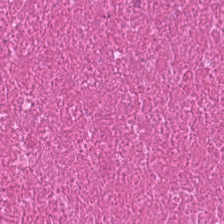Stain: hematoxylin and eosin.
Tissue type: cellular debris.
